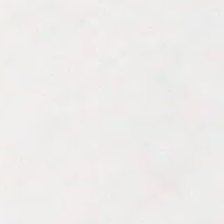Impression — background.
